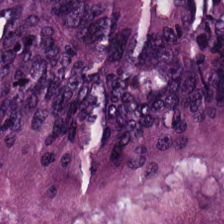Hematoxylin-and-eosin stained section.
Impression → colorectal adenocarcinoma epithelium.
